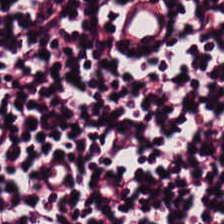FFPE tissue section · H&E stain.
Tissue type — lymphocyte aggregate.
